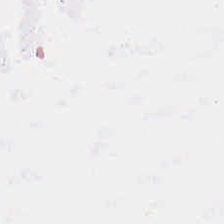H&E stain. No tissue present; background only.
